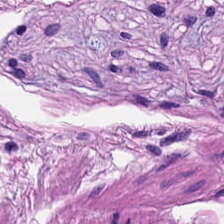Hematoxylin and eosin. 224×224 px tile. Brightfield — {"tissue_type": "smooth muscle"}
